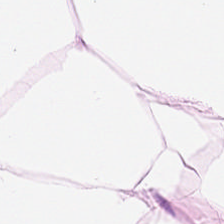H&E-stained section; the field shows adipose.
